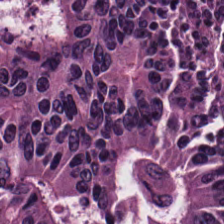This field is adenocarcinoma.
